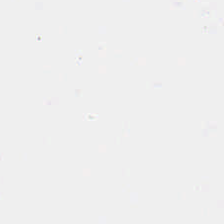H&E stain · 224×224 px patch · whole-slide-image patch — No tissue present; background only.
